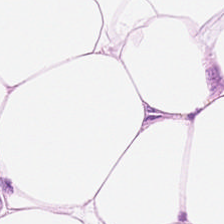H&E-stained tissue section — Q: What is shown here?
A: Adipose tissue.
